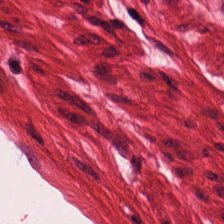H&E-stained tissue section.
The tissue here is smooth muscle.
